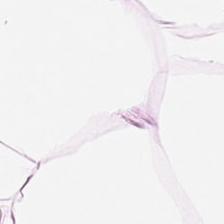Hematoxylin-and-eosin stained section. Histology → adipose tissue.
